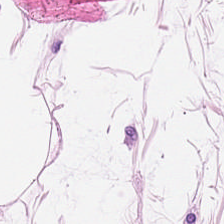H&E-stained tissue section. Classification = adipose tissue.
